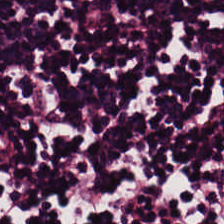FFPE · 224×224 px patch · hematoxylin and eosin. Classification = lymphocytes.
